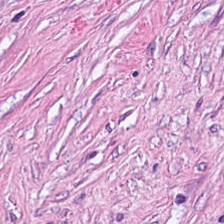Stain: H&E-stained tissue section.
Preparation: FFPE tissue section.
Tissue: tumor stroma.
